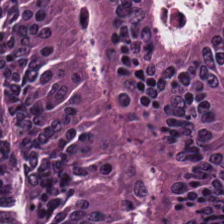H&E-stained tissue section · FFPE tissue section. The predominant tissue is colorectal adenocarcinoma epithelium.
